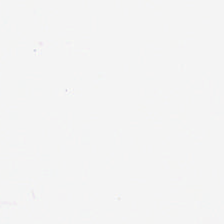Hematoxylin-and-eosin stained section · WSI patch — Empty field — background.
